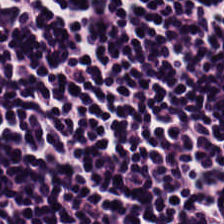H&E patch showing lymphocyte aggregate.
